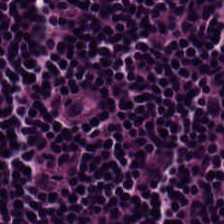H&E.
Q: Identify the tissue.
A: The field shows lymphocytes.
